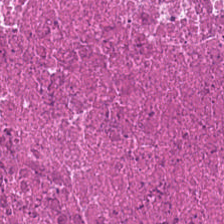FFPE tissue section; hematoxylin-and-eosin stained section.
The tissue is necrotic debris.
